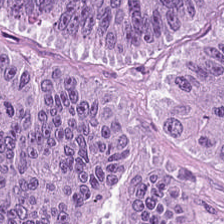0.5 µm per pixel; formalin-fixed paraffin-embedded section; hematoxylin-and-eosin stained section. Tissue — colorectal adenocarcinoma epithelium.
